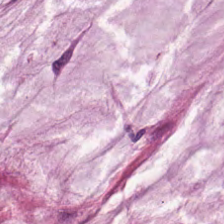Brightfield · H&E.
The predominant tissue is extracellular mucin.
